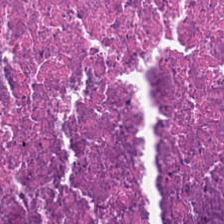H&E stain · WSI patch.
Q: What tissue is shown?
A: This is necrotic debris.
